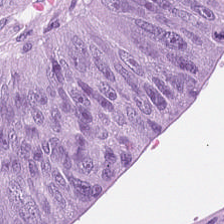H&E; FFPE — Finding → malignant epithelium.
